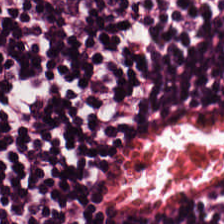Stain: H&E.
Resolution: 0.5 microns per pixel.
Tissue type: lymphocytes.
